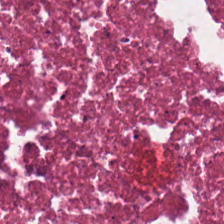This patch shows cellular debris.
